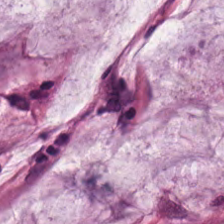Q: What tissue type is shown here?
A: This is extracellular mucin.
